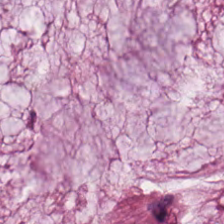Brightfield. H&E stain. Classification = mucus.
